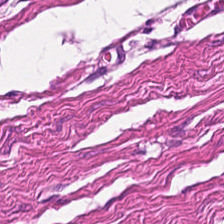Finding → smooth-muscle tissue.
